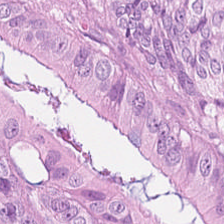0.5 µm per pixel. Hematoxylin and eosin — Tissue class: adenocarcinoma.
